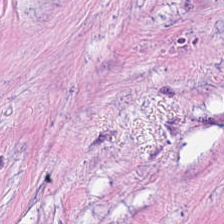0.5 µm per pixel; hematoxylin-and-eosin stained section — This patch shows tumor-associated stroma.
